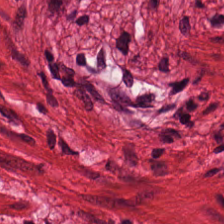Whole-slide-image patch; hematoxylin-and-eosin stained section — Q: What is shown in this field?
A: This is smooth muscle.
